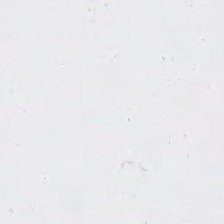H&E. The classification is background.
